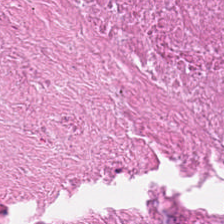H&E. Tissue type — cellular debris.
